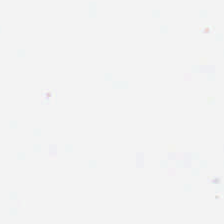20× equivalent magnification · brightfield microscopy · hematoxylin and eosin. Q: What is shown here?
A: This is background.
